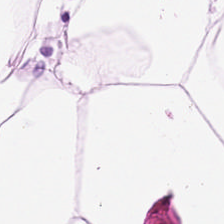Hematoxylin and eosin — Histology — adipocytes.
